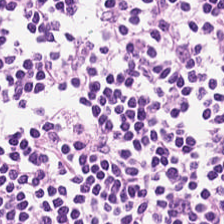H&E; whole-slide-image patch.
This patch shows lymphocytic infiltrate.
